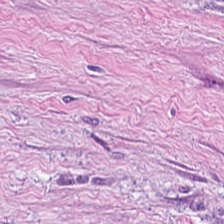H&E-stained tissue section · FFPE tissue section. Tumor-associated stroma.
